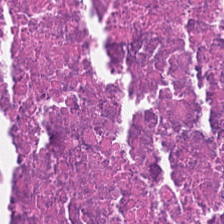H&E-stained tissue section.
Cellular debris.
